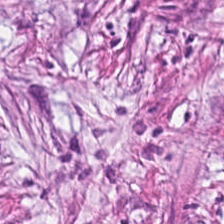FFPE tissue section · H&E stain · 0.5 microns per pixel. Showing cancer-associated stroma.
